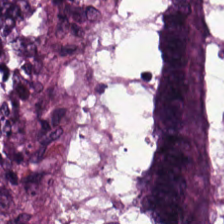H&E stain — Tumor epithelium.
